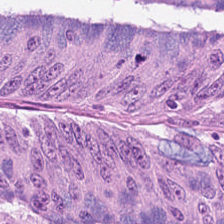20× equivalent magnification; hematoxylin and eosin; whole-slide-image patch. Q: What is shown in this field?
A: It is tumor epithelium.
